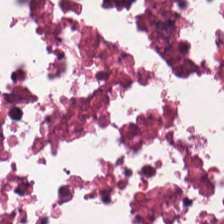This patch shows cellular debris.
